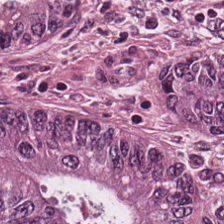H&E.
Q: What tissue is shown?
A: Colorectal adenocarcinoma epithelium.
